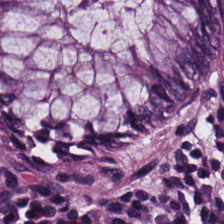FFPE; H&E-stained tissue section. Q: What is the predominant tissue type?
A: This is non-neoplastic colon mucosa.
